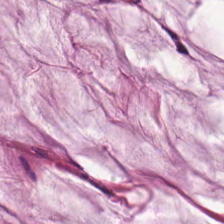Hematoxylin and eosin.
This field is extracellular mucin.
